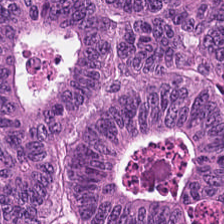Brightfield · hematoxylin-and-eosin stained section — The predominant tissue is malignant epithelium.
